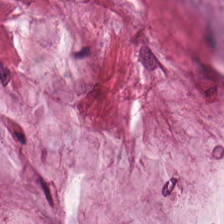Hematoxylin-and-eosin stained section.
Showing mucin.
